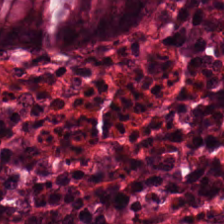Hematoxylin and eosin — Finding — benign colonic mucosa.
